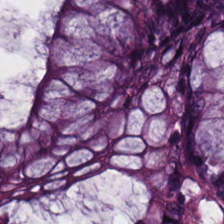Hematoxylin-and-eosin stained section. Non-neoplastic colon mucosa.
